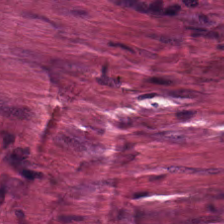Tissue class — tumor-associated stroma.
